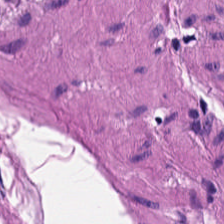Finding → muscularis.
